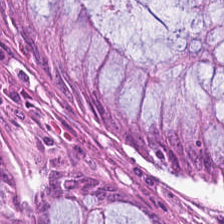224×224 px tile. H&E — Non-neoplastic colon mucosa.
